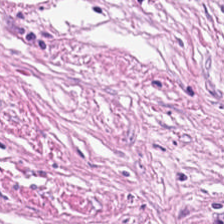H&E-stained tissue section. 20× equivalent magnification. Formalin-fixed paraffin-embedded section — Tissue — tumor-associated stroma.
